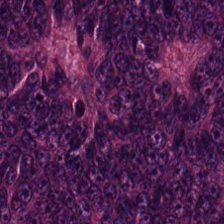Brightfield. Hematoxylin-and-eosin stained section — The tissue here is malignant epithelium.
